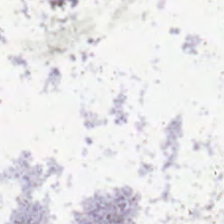224×224 px patch. Hematoxylin and eosin. 0.5 microns per pixel.
This patch shows background (no tissue).
